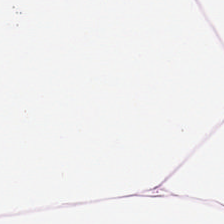0.5 µm per pixel; hematoxylin-and-eosin stained section; 224×224 px tile — Tissue = adipose tissue.
